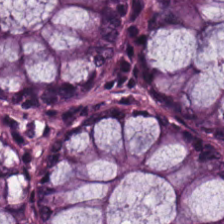0.5 µm per pixel. Brightfield. H&E-stained tissue section — Q: What is the predominant tissue type?
A: Normal colon mucosa.
